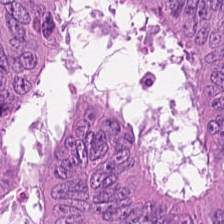H&E stain; FFPE; 224×224 px tile.
Tissue: colorectal adenocarcinoma epithelium.
